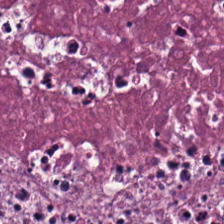0.5 µm/px · H&E — Predominant tissue: debris.
